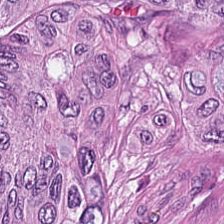H&E. Tissue type: colorectal adenocarcinoma.
